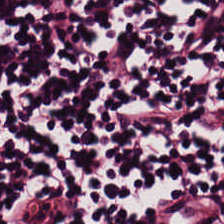H&E — Tissue class = lymphocytes.
